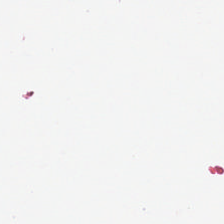Formalin-fixed paraffin-embedded section · H&E stain.
Impression → background.
